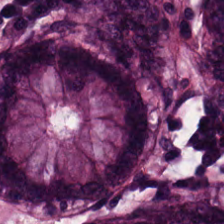0.5 µm/px · 224×224 px patch · H&E stain.
Tissue class = non-neoplastic colon mucosa.
